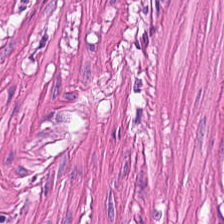224×224 px tile · hematoxylin-and-eosin stained section · WSI patch. Q: What is shown in this field?
A: It is muscularis.
